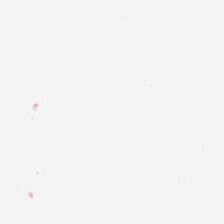224×224 px patch; H&E. Background — no tissue in this field.
